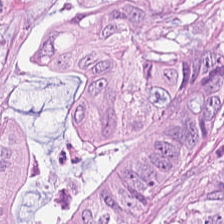224×224 px patch · hematoxylin-and-eosin stained section.
The classification is adenocarcinoma.
